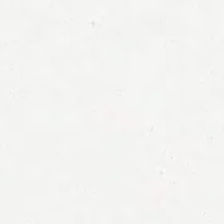Hematoxylin-and-eosin stained section. The content is empty background.
